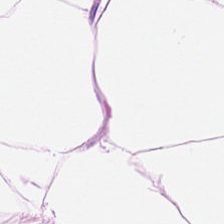224×224 pixel tile · H&E-stained tissue section · 0.5 µm/px. This patch shows adipose.
